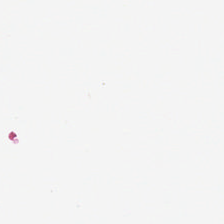Stain: hematoxylin-and-eosin stained section.
Content: background (no tissue).
